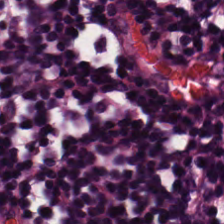Whole-slide-image patch; H&E stain. Predominant tissue: lymphocyte aggregate.
